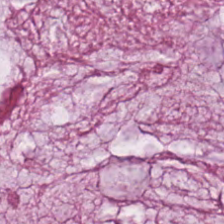H&E stain — Q: What type of tissue is this?
A: The field shows mucin.
